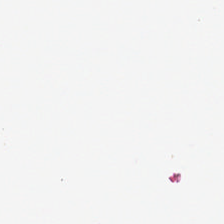Hematoxylin-and-eosin stained section. Finding → background.
